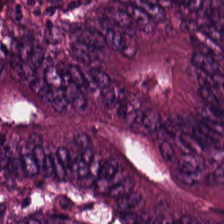Q: What does this patch show?
A: The field shows adenocarcinoma.
